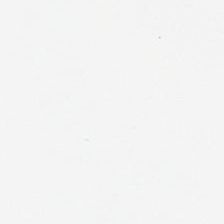Background — no tissue in this field.
